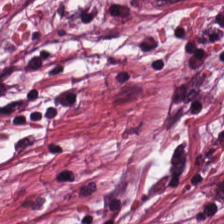H&E-stained tissue section · formalin-fixed paraffin-embedded section.
{"tissue_type": "tumor-associated stroma"}
